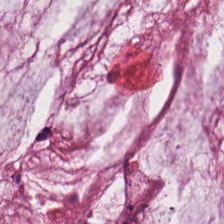Hematoxylin and eosin — The tissue class is extracellular mucin.
